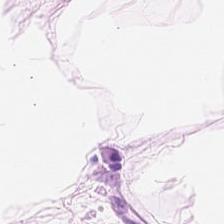FFPE tissue section · H&E · 224×224 pixel tile. The tissue here is adipose.
